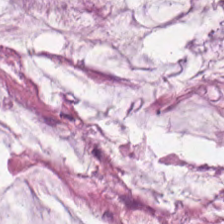Tissue class = mucus.
